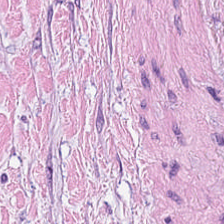H&E; 0.5 µm/px — Impression → tumor stroma.
